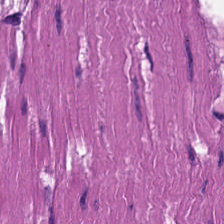H&E.
This patch shows smooth-muscle tissue.
